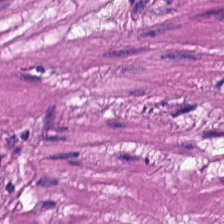H&E stain.
Smooth muscle.
